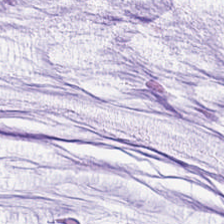Brightfield microscopy. Hematoxylin-and-eosin stained section. 0.5 µm/px.
This patch shows mucus.
